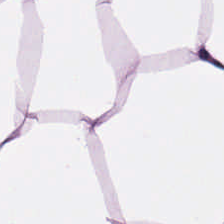Histology → adipose.
